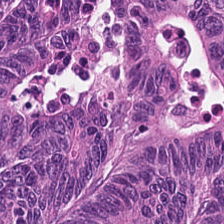Tissue = tumor epithelium.
